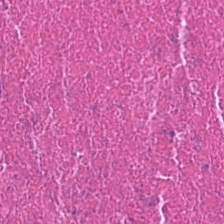Hematoxylin and eosin. FFPE. Brightfield microscopy — The predominant tissue is cellular debris.
